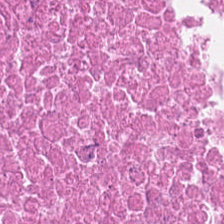H&E-stained tissue section. Predominantly cellular debris.
